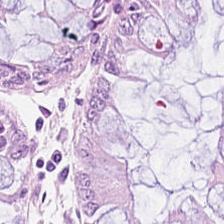Stain: hematoxylin and eosin.
Classification: normal colonic mucosa.
